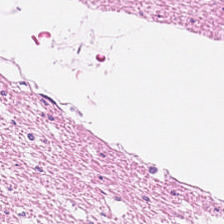H&E-stained tissue section.
Q: What is shown here?
A: This is muscularis.
